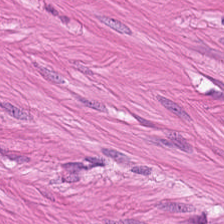H&E — Muscularis.
